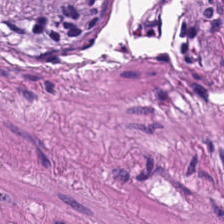Hematoxylin-and-eosin stained section — Smooth-muscle tissue.
